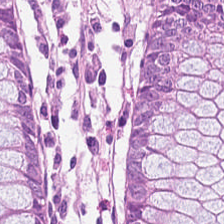Formalin-fixed paraffin-embedded section. Brightfield microscopy. Hematoxylin and eosin.
Predominant tissue = normal colonic mucosa.
